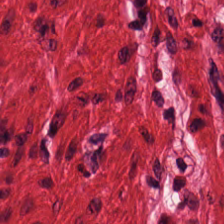H&E; formalin-fixed paraffin-embedded section.
The tissue here is muscularis.
